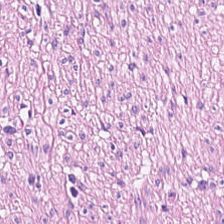Predominant tissue — smooth muscle.
